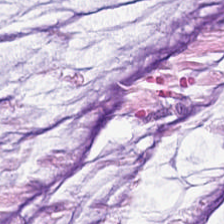Hematoxylin-and-eosin stained section. 0.5 microns per pixel. FFPE tissue section.
This field is mucus.
